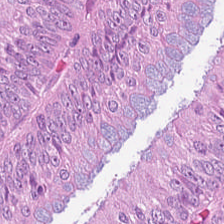This patch shows colorectal adenocarcinoma.
